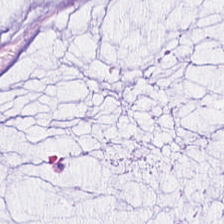Hematoxylin and eosin.
The predominant tissue is extracellular mucin.
